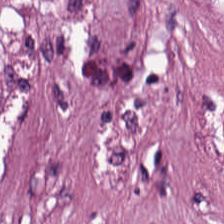Stain: H&E.
Tissue class: tumor stroma.
